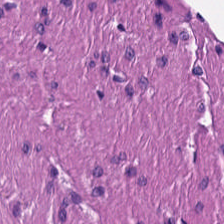Q: What tissue type is shown here?
A: It is smooth muscle.
